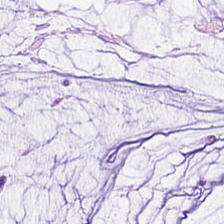Q: Identify the tissue.
A: The field shows extracellular mucin.
